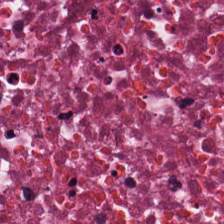Hematoxylin and eosin. Predominant tissue: necrotic debris.
